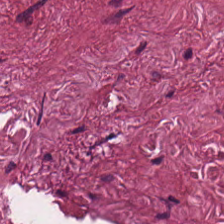Hematoxylin-and-eosin stained section; 0.5 µm/px — Predominantly tumor stroma.
